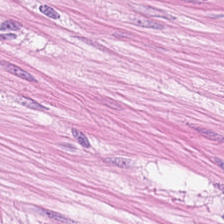Stain: hematoxylin-and-eosin stained section.
Tissue type: muscularis.
